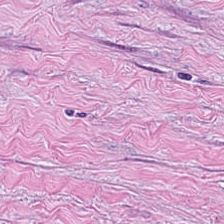Hematoxylin and eosin · 20× equivalent magnification. The classification is cancer-associated stroma.
